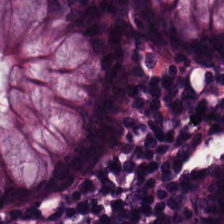Predominantly normal colon mucosa.
